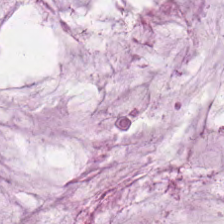H&E stain.
Classification = mucus.
